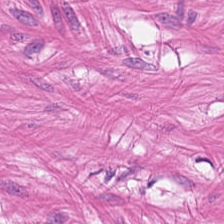Stain: hematoxylin and eosin.
Tissue type: smooth-muscle tissue.
